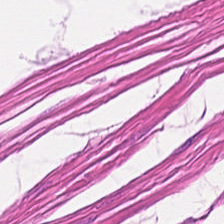224×224 px tile. Hematoxylin and eosin. Tissue type: muscularis.
